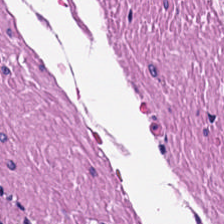Hematoxylin and eosin. 20× equivalent magnification. FFPE tissue section. Classification: muscularis.
